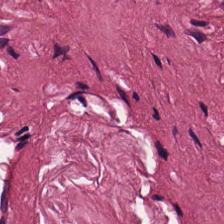0.5 µm per pixel · H&E.
Predominant tissue: tumor stroma.
